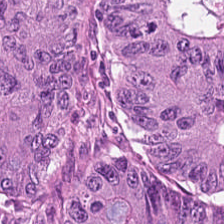H&E-stained tissue section.
Histology → tumor epithelium.
